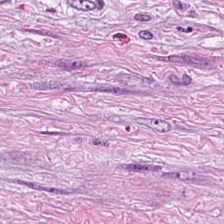H&E stain; 224×224 px patch. Predominant tissue: desmoplastic stroma.
